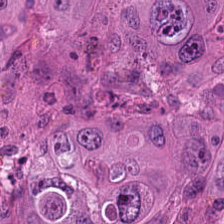H&E stain.
The predominant tissue is malignant epithelium.
